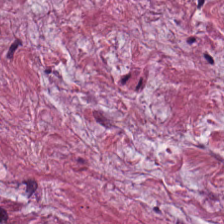Hematoxylin-and-eosin stained section.
This field is cancer-associated stroma.
